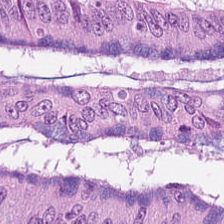H&E-stained tissue section.
Tissue: malignant epithelium.
